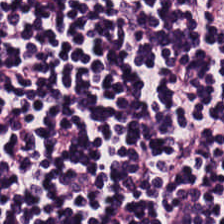H&E stain — This patch shows lymphocytic infiltrate.
